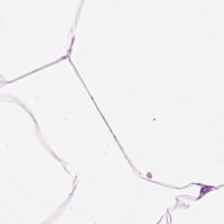Hematoxylin-and-eosin stained section. FFPE — Q: What is the predominant tissue type?
A: The field shows adipose tissue.
